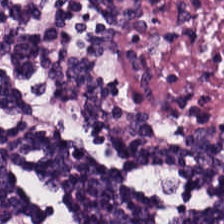The tissue here is lymphoid infiltrate.
